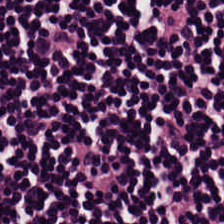H&E stain. Predominantly lymphocyte aggregate.
